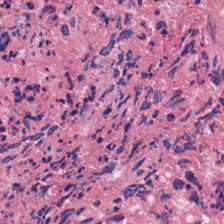Histology — necrotic debris.
